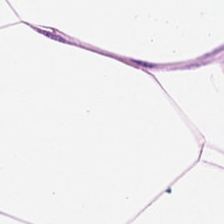Hematoxylin and eosin — Q: What tissue is shown?
A: This is adipose.
